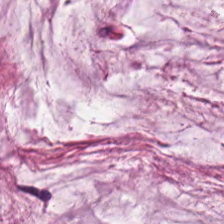Hematoxylin-and-eosin section: mucin.
